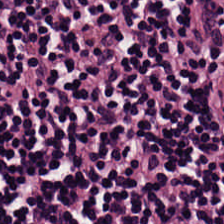H&E-stained tissue section — The tissue here is lymphocytic infiltrate.
